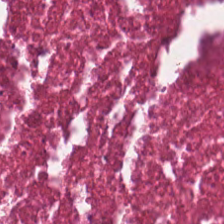224×224 px patch · hematoxylin-and-eosin stained section. Tissue type = cellular debris.
